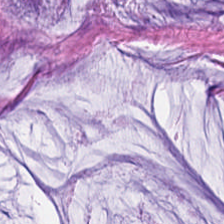0.5 µm/px; WSI patch; hematoxylin-and-eosin stained section.
Impression → mucin.
